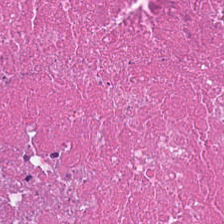Impression — necrotic debris.
